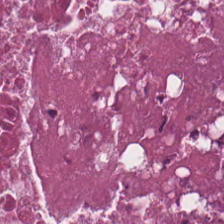H&E-stained tissue section.
Q: Identify the tissue.
A: It is cellular debris.
